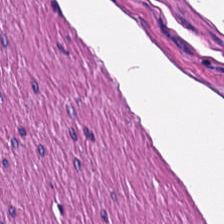FFPE · hematoxylin and eosin · brightfield — Tissue type = smooth-muscle tissue.
